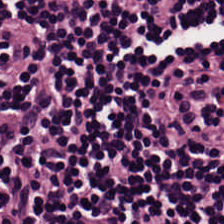Stain: H&E-stained tissue section.
Classification: lymphocytic infiltrate.
